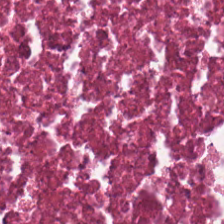Tissue class: debris.
